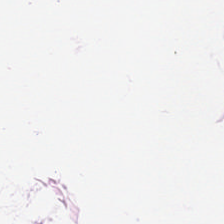H&E; brightfield.
{"tissue_type": "adipose"}
